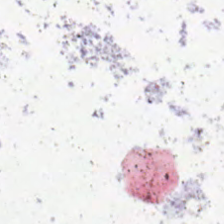H&E-stained tissue section — Empty background.
